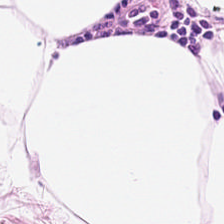Tissue type — adipose.
